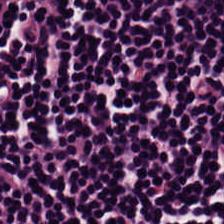Hematoxylin and eosin. The predominant tissue is lymphocyte aggregate.
